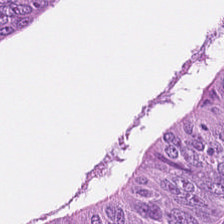Hematoxylin and eosin.
Tumor epithelium.
